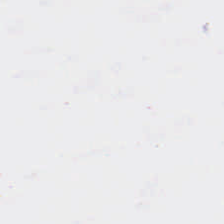H&E-stained tissue section; 0.5 µm per pixel.
Histology → empty background.
